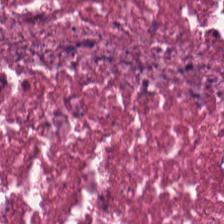0.5 microns per pixel. Hematoxylin and eosin. Formalin-fixed paraffin-embedded section — This patch shows cellular debris.
